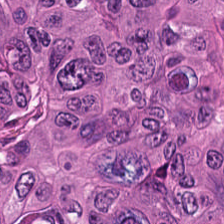H&E-stained tissue section — Tissue type = colorectal adenocarcinoma.
